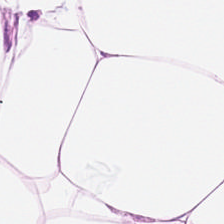H&E patch showing adipose.
